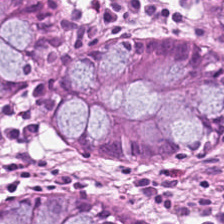Q: Identify the tissue.
A: Non-neoplastic colon mucosa.
